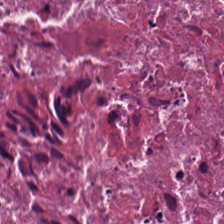FFPE tissue section. 0.5 µm per pixel. H&E stain. Tissue = necrotic debris.
